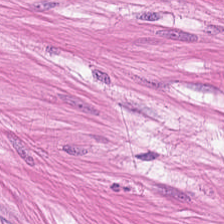Formalin-fixed paraffin-embedded section · hematoxylin-and-eosin stained section — Tissue type — smooth-muscle tissue.
